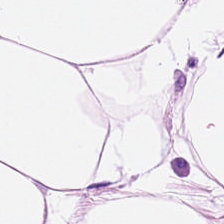Q: Identify the tissue.
A: This is adipose.
